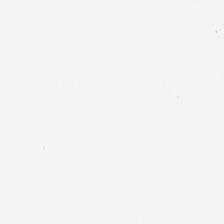H&E stain.
The classification is empty background.
